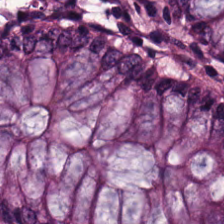0.5 µm/px; H&E stain.
This field is non-neoplastic colon mucosa.
